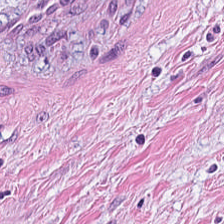224×224 px patch; H&E.
Q: What tissue type is shown here?
A: Tumor-associated stroma.
